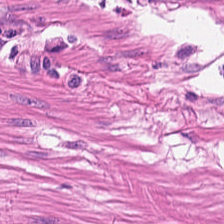H&E.
The predominant tissue is smooth muscle.
